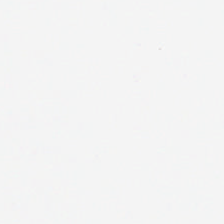Hematoxylin and eosin · 0.5 µm per pixel — Field content: background (no tissue).
